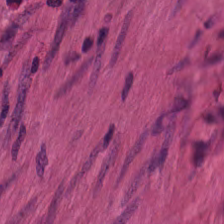H&E.
Q: What is shown in this field?
A: It is muscularis.
